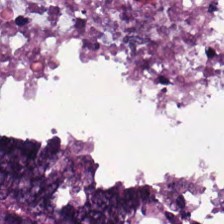This field is malignant epithelium.
